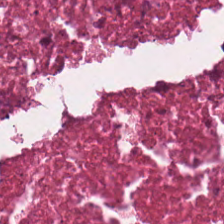H&E-stained tissue section — Q: What does this patch show?
A: It is debris.
